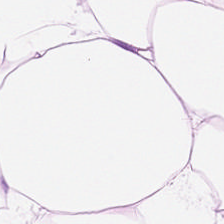224×224 px patch; H&E.
This patch shows adipose.
